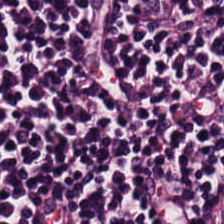Q: What is shown in this field?
A: Lymphocytes.
